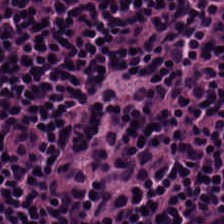Q: What is shown in this field?
A: It is lymphocytes.
